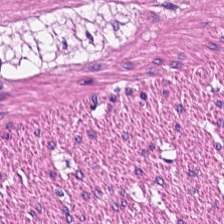Hematoxylin and eosin. Impression → smooth-muscle tissue.
